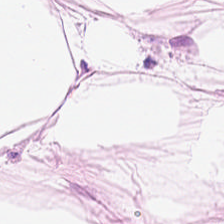Adipose.
